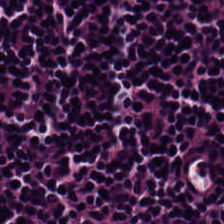Stain: H&E.
Classification: lymphocytic infiltrate.
